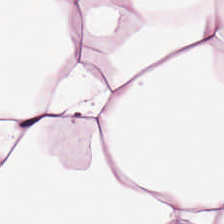Hematoxylin-and-eosin stained section — Tissue class = adipose.
